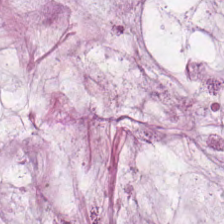Hematoxylin-and-eosin stained section. Predominantly extracellular mucin.
